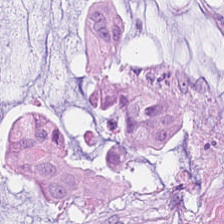H&E stain. Brightfield.
Predominantly mucin.
